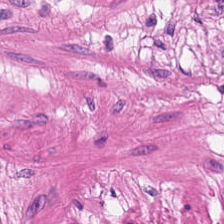WSI patch. H&E stain.
Q: What tissue is shown?
A: Smooth muscle.
